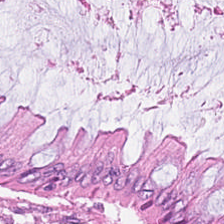H&E stain. Histology — normal colon mucosa.
